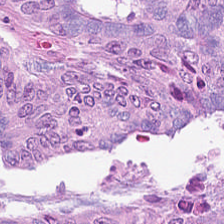Hematoxylin and eosin — This patch shows colorectal adenocarcinoma.
